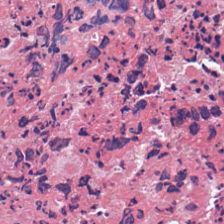The tissue class is cellular debris.
